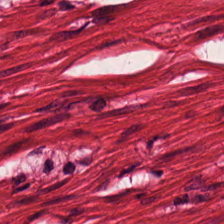20× equivalent magnification. H&E-stained tissue section. Formalin-fixed paraffin-embedded section. {"tissue_type": "muscularis"}
